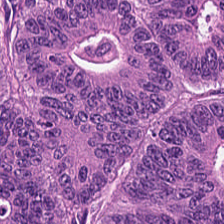Hematoxylin-and-eosin stained section; FFPE tissue section. Tissue — tumor epithelium.
